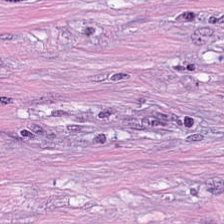Whole-slide-image patch; H&E stain.
Histology → tumor stroma.
